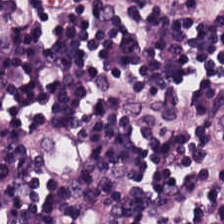Hematoxylin-and-eosin stained section — Tissue type: lymphocytes.
